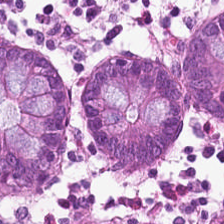Stain: hematoxylin-and-eosin stained section.
Acquisition: WSI patch.
Tissue type: normal colonic mucosa.
